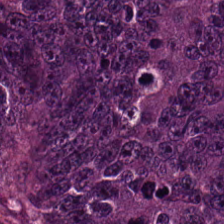224×224 pixel tile. H&E stain. Formalin-fixed paraffin-embedded section — {"tissue_type": "tumor epithelium"}
